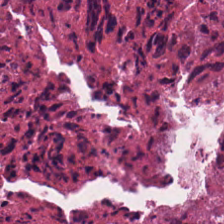Q: What type of tissue is this?
A: The field shows debris.
